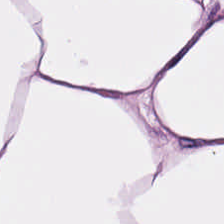H&E · 224×224 px tile. This patch shows adipose tissue.
